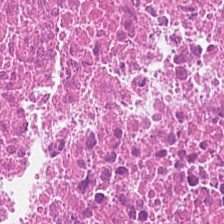Tissue = necrotic debris.
